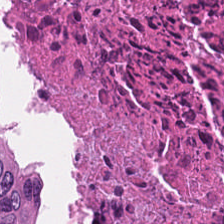224×224 pixel tile; hematoxylin and eosin — Tissue class = necrotic debris.
